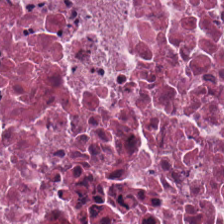Hematoxylin and eosin. Predominant tissue — cellular debris.
